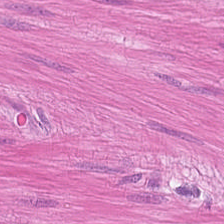Stain: hematoxylin-and-eosin stained section.
Tissue class: muscularis.
